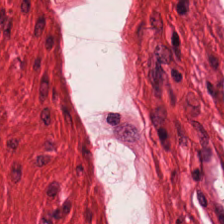H&E-stained section; the field shows smooth muscle.
